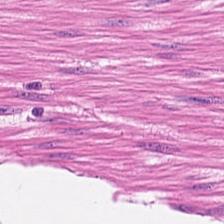Hematoxylin and eosin — {"tissue_type": "smooth muscle"}
